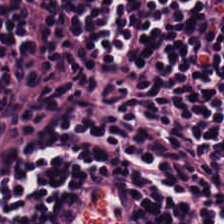FFPE · H&E-stained tissue section.
Lymphocytes.
